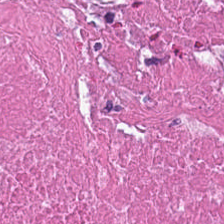Predominantly cellular debris.
